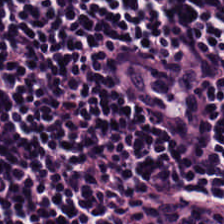Hematoxylin and eosin. Formalin-fixed paraffin-embedded section.
Q: What is shown in this field?
A: This is lymphocyte aggregate.
